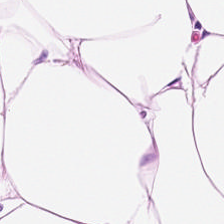Hematoxylin-and-eosin stained section; FFPE tissue section; whole-slide-image patch — The tissue is adipose tissue.
